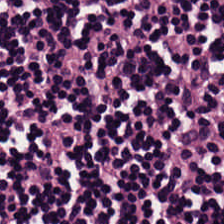Q: What tissue is shown?
A: It is lymphoid infiltrate.
